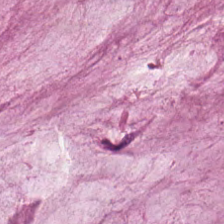H&E-stained tissue section showing extracellular mucin.
